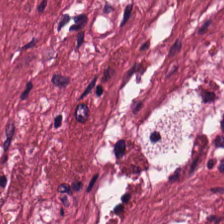Stain: H&E stain.
Classification: desmoplastic stroma.
